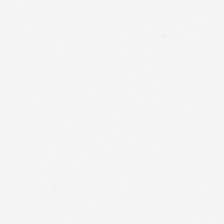H&E stain.
Content — no tissue.
